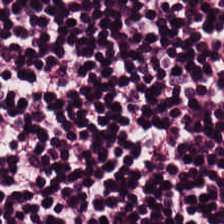H&E. Lymphocytes.
